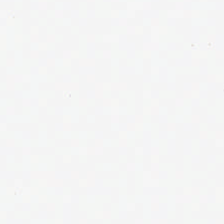H&E-stained tissue section.
Field content: no tissue.
